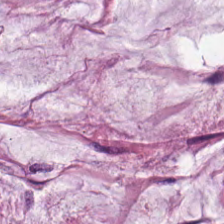Impression → mucus.
